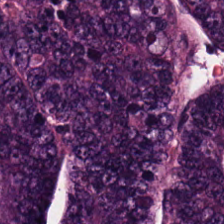Stain: H&E stain.
Tissue: colorectal adenocarcinoma.
